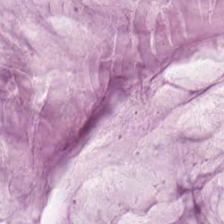Q: What does this patch show?
A: The field shows mucin.
